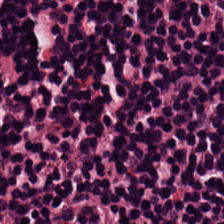H&E-stained tissue section. Showing lymphocytic infiltrate.
